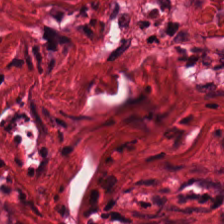H&E-stained tissue section. Desmoplastic stroma.
